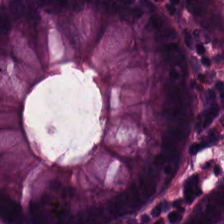Hematoxylin-and-eosin stained section. Classification: normal colonic mucosa.
